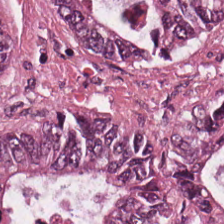Finding → colorectal adenocarcinoma epithelium.
